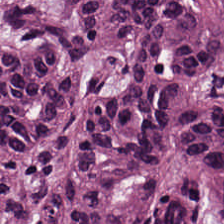Showing colorectal adenocarcinoma epithelium.
